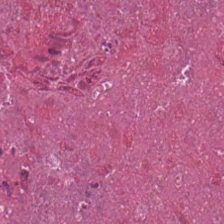Hematoxylin and eosin.
The tissue class is necrotic debris.
